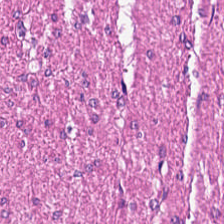0.5 microns per pixel; H&E.
The classification is smooth muscle.
